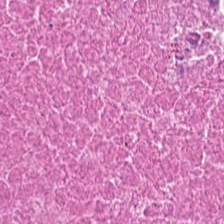H&E — cellular debris.
